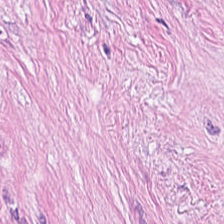224×224 px tile; H&E — Q: What is shown here?
A: It is desmoplastic stroma.
